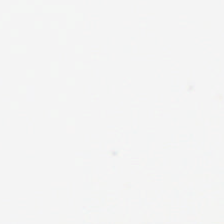Hematoxylin and eosin; WSI patch.
Finding → background (no tissue).
